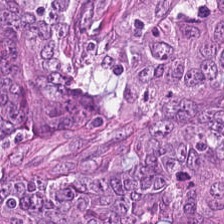Showing malignant epithelium.
